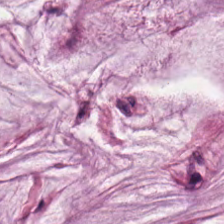Q: What is shown in this field?
A: It is mucus.
